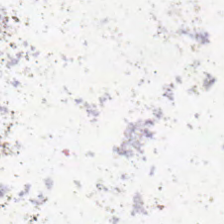H&E-stained tissue section — Q: Classify this patch.
A: Empty background.
